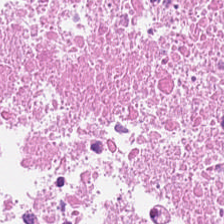H&E stain — The tissue here is cellular debris.
